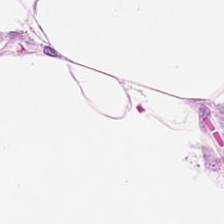The tissue here is adipocytes.
